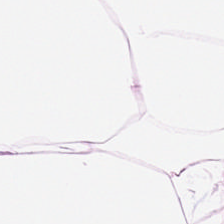H&E-stained tissue section · brightfield — Tissue type: adipose.
